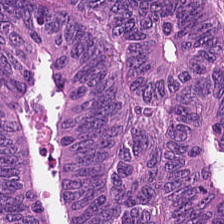H&E stain; 0.5 microns per pixel; 224×224 px tile. Q: What type of tissue is this?
A: This is malignant epithelium.
